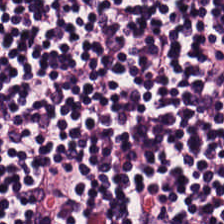H&E stain. Q: What tissue is shown?
A: The field shows lymphoid infiltrate.
